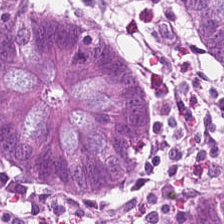0.5 µm/px · H&E stain.
Tissue class = benign colonic mucosa.
